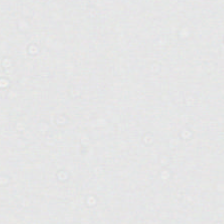H&E-stained tissue section.
The field content is background.
